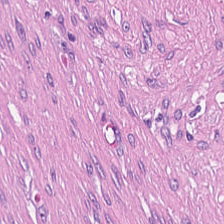H&E-stained tissue section — Finding — cancer-associated stroma.
